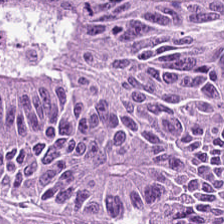Hematoxylin-and-eosin stained section; FFPE tissue section. Tissue type: colorectal adenocarcinoma epithelium.
